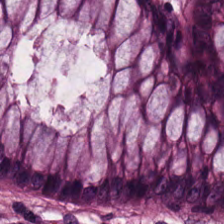H&E stain; FFPE; 224×224 px tile. Q: What type of tissue is this?
A: Non-neoplastic colon mucosa.
